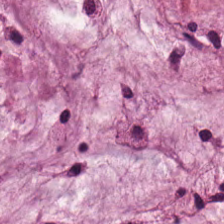Q: What is shown in this field?
A: This is mucus.
